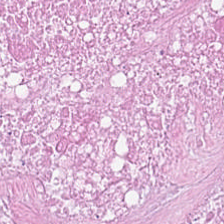H&E-stained tissue section.
Tissue type = cellular debris.
